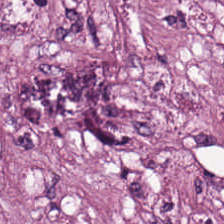H&E-stained tissue section.
This patch shows cancer-associated stroma.
